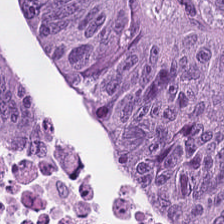H&E stain.
This field is tumor epithelium.
